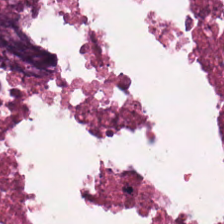Hematoxylin and eosin; WSI patch. {"tissue_type": "debris"}
